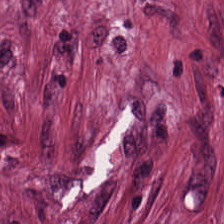Q: What tissue type is shown here?
A: The field shows tumor stroma.
